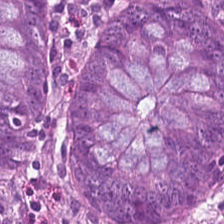Hematoxylin-and-eosin stained section. The predominant tissue is normal colon mucosa.
